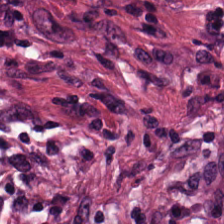Stain: hematoxylin-and-eosin stained section.
Tile size: 224×224 pixel tile.
Tissue type: desmoplastic stroma.
